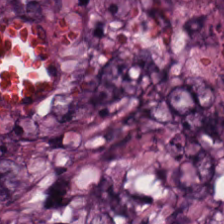H&E.
Tissue: malignant epithelium.
